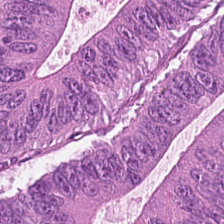H&E · 0.5 µm per pixel · 224×224 pixel tile — Showing colorectal adenocarcinoma.
